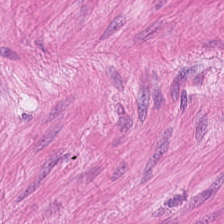H&E stain.
Tissue class = muscularis.
